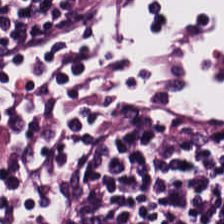0.5 µm/px · H&E-stained tissue section — Classification — lymphocytes.
